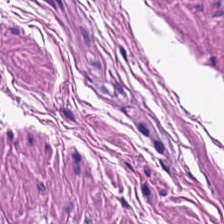Stain: H&E stain.
Predominant tissue: muscularis.
